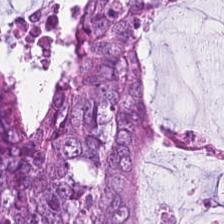Stain: H&E stain.
Tissue type: malignant epithelium.
